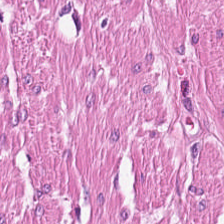H&E-stained tissue section. Impression → muscularis.
